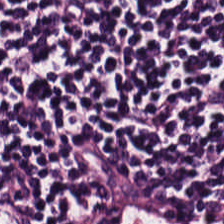Showing lymphocytes.
